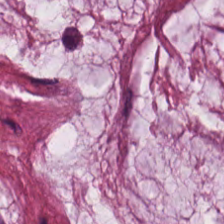Impression — extracellular mucin.
